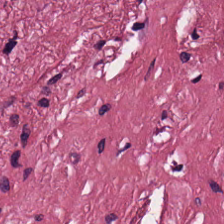H&E.
Q: What tissue is shown?
A: Desmoplastic stroma.
